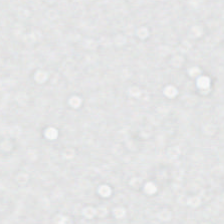FFPE tissue section; H&E stain. This field is background (no tissue).
